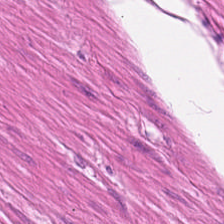WSI patch; H&E-stained tissue section — Q: What tissue type is shown here?
A: The field shows smooth muscle.
